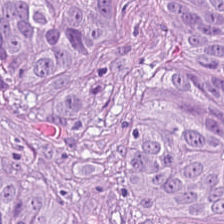0.5 µm per pixel · H&E-stained tissue section — {"tissue_type": "malignant epithelium"}
